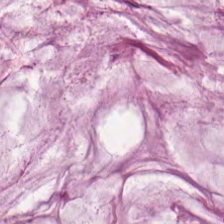This patch shows mucus.
